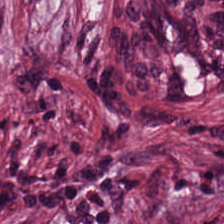H&E stain — This field is tumor-associated stroma.
